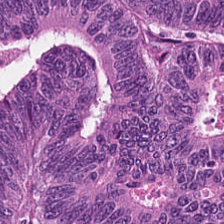Tissue type = tumor epithelium.
